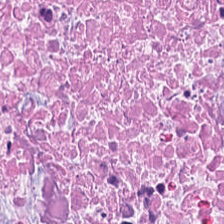Hematoxylin-and-eosin stained section.
This patch shows debris.
